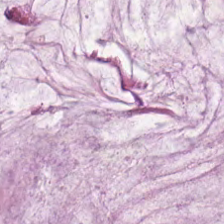H&E-stained tissue section. 224×224 px patch.
Q: What is shown in this field?
A: This is extracellular mucin.
